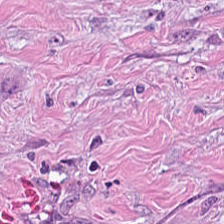H&E — The tissue is cancer-associated stroma.
